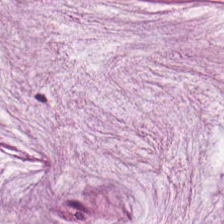Tissue class: mucus.
